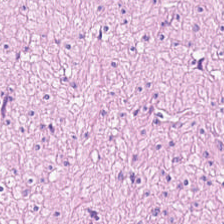H&E; 224×224 pixel tile. Histology → smooth-muscle tissue.
